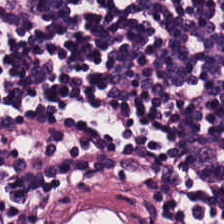20× equivalent magnification. H&E-stained tissue section. Tissue = lymphocytic infiltrate.
